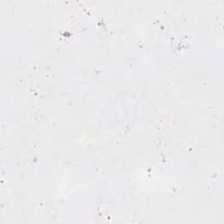{"content": "background (no tissue)"}
